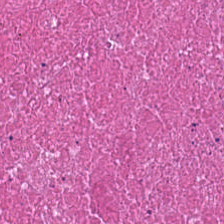Hematoxylin and eosin. The tissue class is cellular debris.
